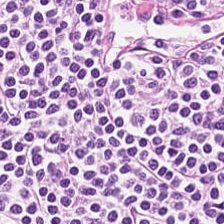Hematoxylin-and-eosin stained section.
Classification = lymphoid infiltrate.
